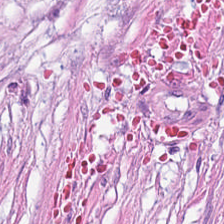H&E — desmoplastic stroma.
